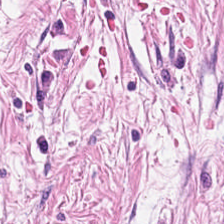H&E; whole-slide-image patch. Q: What tissue is shown?
A: The field shows desmoplastic stroma.
